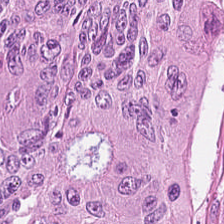Hematoxylin-and-eosin stained section; 0.5 µm per pixel. Q: What is shown in this field?
A: Colorectal adenocarcinoma epithelium.
